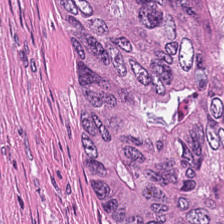H&E-stained tissue section. 224×224 pixel tile — Classification = debris.
